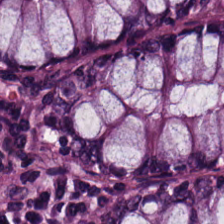20× equivalent magnification. H&E-stained tissue section. 224×224 px patch.
Q: What tissue type is shown here?
A: Normal colon mucosa.
